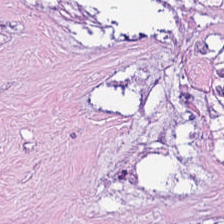{"tissue_type": "debris"}
